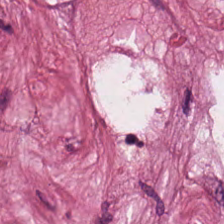H&E stain.
Impression → cancer-associated stroma.
